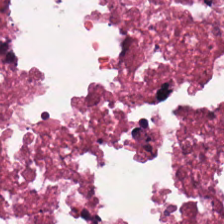Tissue class = debris.
